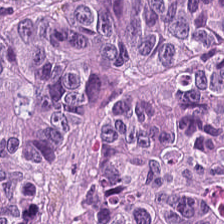Classification = adenocarcinoma.
